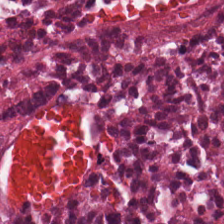H&E-stained tissue section. Necrotic debris.
